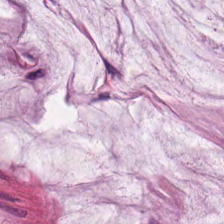Hematoxylin-and-eosin stained section; 224×224 pixel tile.
Q: Classify this patch.
A: Mucin.
